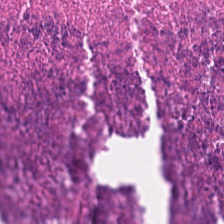0.5 µm per pixel. Hematoxylin-and-eosin stained section.
Necrotic debris.
